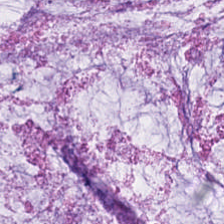{"tissue_type": "mucus"}
